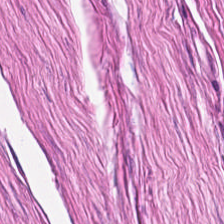H&E-stained tissue section. Predominantly smooth muscle.
